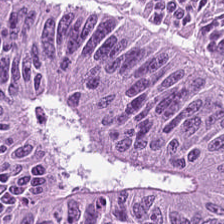Hematoxylin-and-eosin stained section. Colorectal adenocarcinoma epithelium.
